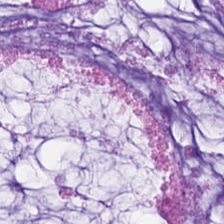H&E-stained tissue section.
The tissue here is mucus.
